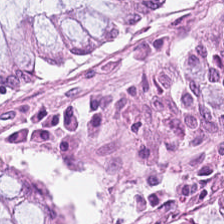Hematoxylin and eosin.
Tissue — non-neoplastic colon mucosa.
